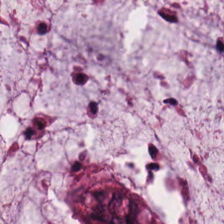Stain: H&E stain.
Resolution: 20× equivalent magnification.
Classification: mucus.
